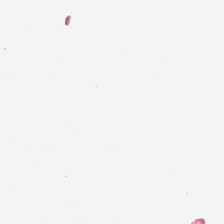H&E stain. Classification: background (no tissue).
